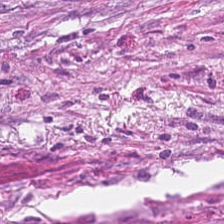Stain: hematoxylin-and-eosin stained section.
Acquisition: whole-slide-image patch.
Tissue type: cancer-associated stroma.
